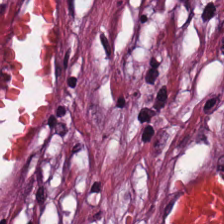Showing cancer-associated stroma.
